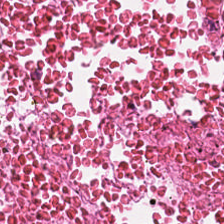Hematoxylin and eosin; FFPE.
The tissue here is necrotic debris.
